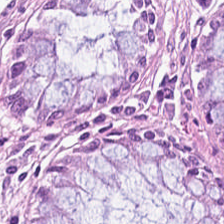224×224 px tile; hematoxylin and eosin; 0.5 µm/px. Predominantly non-neoplastic colon mucosa.
